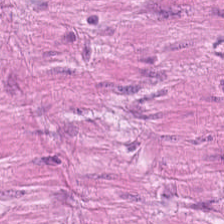20× equivalent magnification; H&E; FFPE — This field is smooth-muscle tissue.
